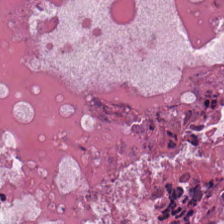H&E patch showing necrotic debris.
